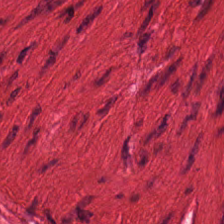H&E; 0.5 microns per pixel.
Impression → smooth muscle.
